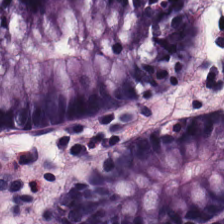Formalin-fixed paraffin-embedded section; H&E stain — This field is benign colonic mucosa.
